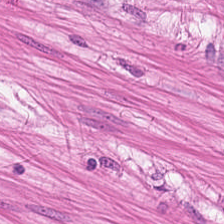Stain: H&E-stained tissue section.
Preparation: formalin-fixed paraffin-embedded section.
Tissue class: muscularis.
